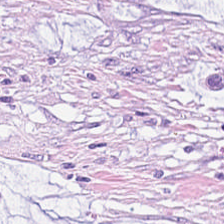0.5 µm/px · H&E-stained tissue section · FFPE. Classification = mucus.
